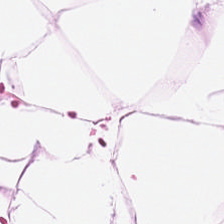Hematoxylin and eosin. Tissue — adipose.
